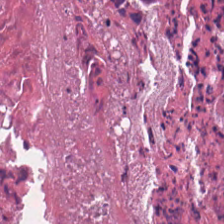H&E. Tissue — cellular debris.
